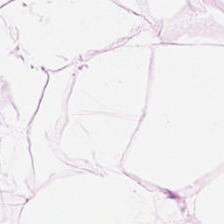Tissue class — adipose.
